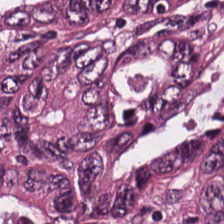0.5 microns per pixel; H&E.
Q: What type of tissue is this?
A: This is adenocarcinoma.
